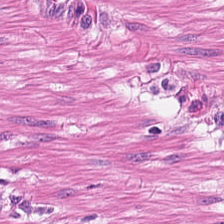Classification — smooth muscle.
